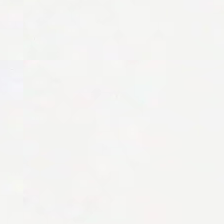H&E stain; 0.5 microns per pixel — No tissue present; background only.
